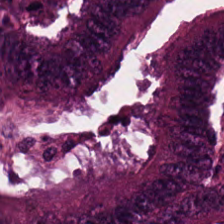Hematoxylin-and-eosin stained section — Predominantly tumor epithelium.
